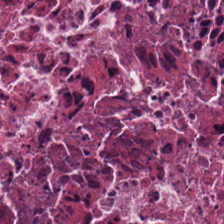Q: What is shown in this field?
A: Debris.
